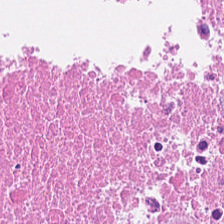H&E-stained tissue section. Showing necrotic debris.
